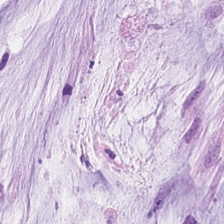Finding — mucin.
